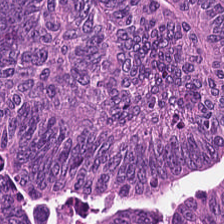Impression → tumor epithelium.
